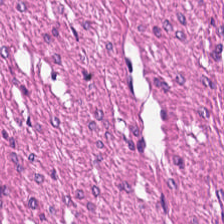Tissue class = smooth-muscle tissue.
